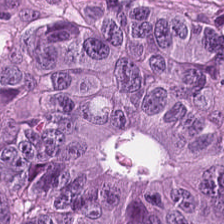Formalin-fixed paraffin-embedded section · H&E — Showing tumor epithelium.
